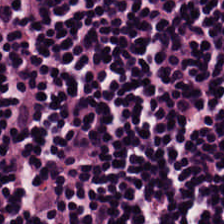H&E · 0.5 µm/px — Finding → lymphocytes.
